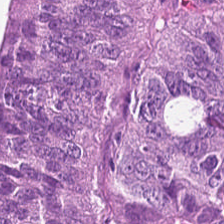Brightfield microscopy; H&E-stained tissue section — The predominant tissue is colorectal adenocarcinoma epithelium.
